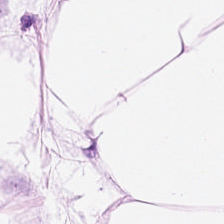H&E-stained section; the field shows adipose tissue.
